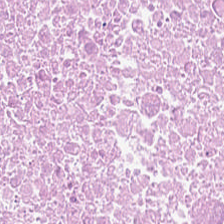H&E — debris.
